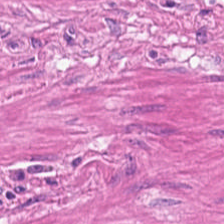Stain: H&E-stained tissue section.
Predominant tissue: muscularis.
